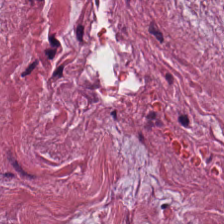Hematoxylin and eosin. Brightfield. Predominantly tumor stroma.
